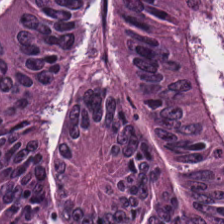Hematoxylin and eosin. Classification — colorectal adenocarcinoma epithelium.
